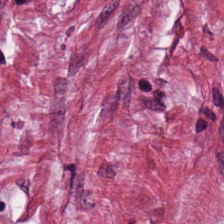H&E-stained tissue section — Histology → tumor stroma.
